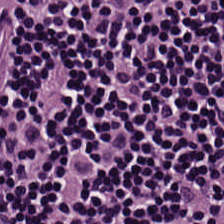224×224 pixel tile. H&E stain — This field is lymphocytes.
